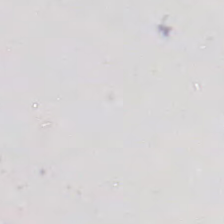H&E. 224×224 pixel tile — Empty field — empty background.
